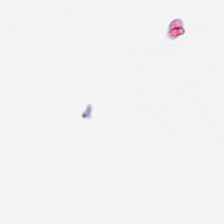Stain: hematoxylin and eosin.
Resolution: 0.5 µm per pixel.
Field content: no tissue.
